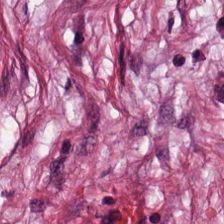H&E.
Tissue: desmoplastic stroma.
